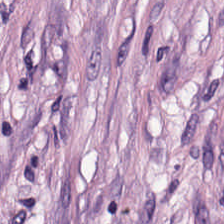Hematoxylin and eosin — The predominant tissue is tumor-associated stroma.
